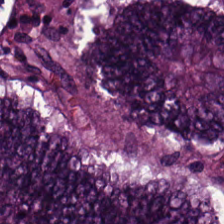Finding → colorectal adenocarcinoma.
